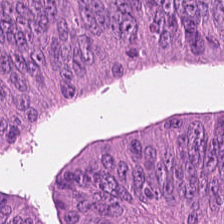Brightfield microscopy. Hematoxylin and eosin. 224×224 px tile — Tissue class: colorectal adenocarcinoma epithelium.
